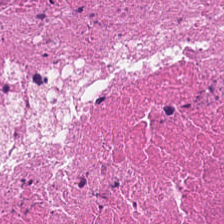Hematoxylin and eosin. Tissue — cellular debris.
